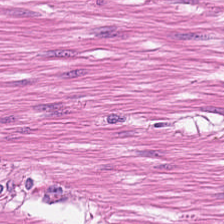H&E-stained tissue section · WSI patch · 224×224 pixel tile. The predominant tissue is muscularis.
